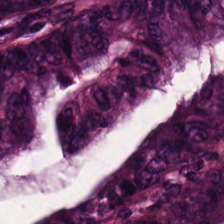H&E. {"tissue_type": "adenocarcinoma"}
